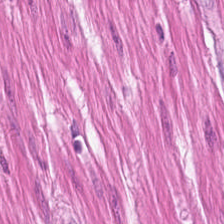Hematoxylin and eosin.
Showing smooth-muscle tissue.
